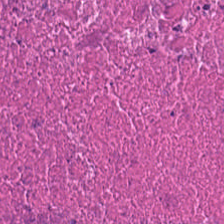224×224 px tile. Hematoxylin-and-eosin stained section. Q: What is shown here?
A: The field shows debris.
